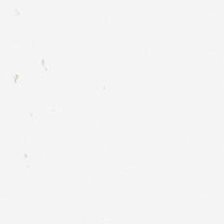H&E-stained tissue section. Formalin-fixed paraffin-embedded section. No tissue present; background only.
